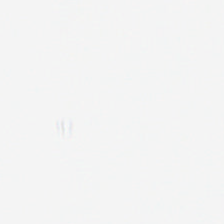224×224 px patch; hematoxylin and eosin — Q: What is shown here?
A: It is no tissue.
